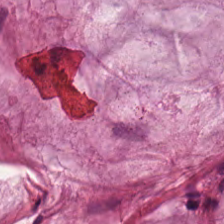Hematoxylin and eosin. This field is mucin.
